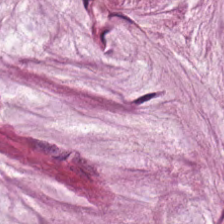224×224 px tile. H&E stain. 0.5 microns per pixel.
Q: What type of tissue is this?
A: The field shows mucin.
